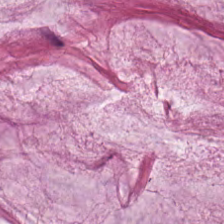H&E-stained tissue section. Q: What is shown here?
A: This is mucin.
